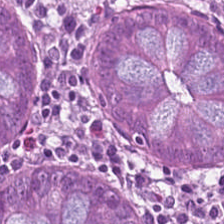Brightfield. H&E — Predominantly normal colon mucosa.
